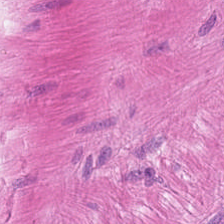H&E. Q: What tissue type is shown here?
A: It is smooth muscle.
